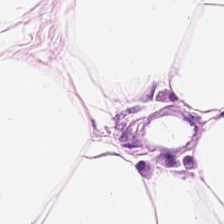Adipocytes.
